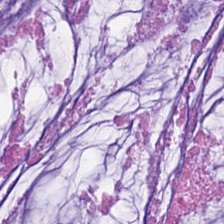H&E stain; 224×224 pixel tile. The predominant tissue is mucus.
